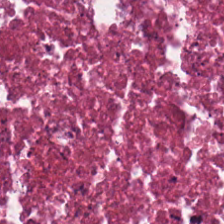{"tissue_type": "cellular debris"}
